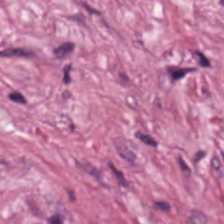H&E.
The predominant tissue is desmoplastic stroma.
